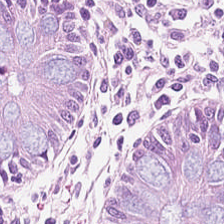H&E. WSI patch. 20× equivalent magnification.
Predominantly normal colonic mucosa.
